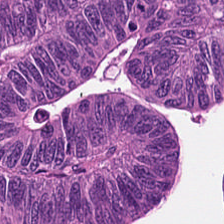Hematoxylin and eosin.
Showing malignant epithelium.
